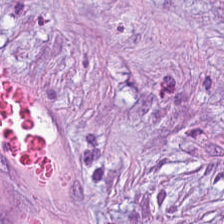Stain: H&E.
Tile size: 224×224 pixel tile.
Tissue: cancer-associated stroma.
